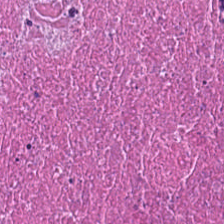This field is necrotic debris.
